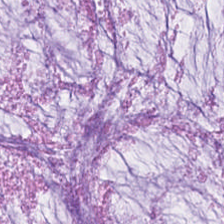Hematoxylin and eosin — Q: What type of tissue is this?
A: Mucus.
